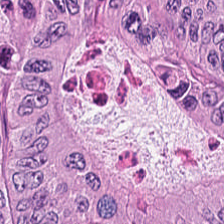0.5 µm/px; formalin-fixed paraffin-embedded section; H&E stain.
{"tissue_type": "malignant epithelium"}
